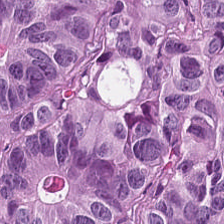Hematoxylin and eosin.
Adenocarcinoma.
